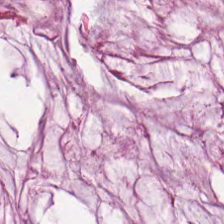Q: What is shown in this field?
A: It is extracellular mucin.
